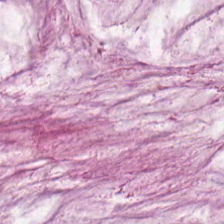H&E stain.
Histology — mucin.
